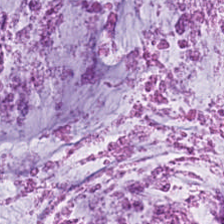H&E stain — Predominantly mucin.
